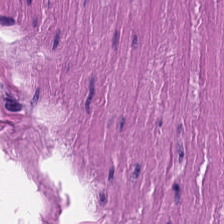H&E-stained tissue section — Finding → muscularis.
